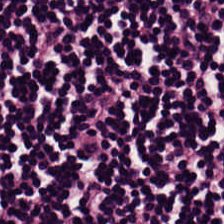20× equivalent magnification · H&E · FFPE — Predominantly lymphoid infiltrate.
